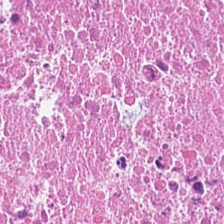H&E-stained tissue section · FFPE tissue section · 20× equivalent magnification. Q: Classify this patch.
A: This is cellular debris.
